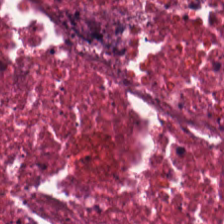Histology — necrotic debris.
